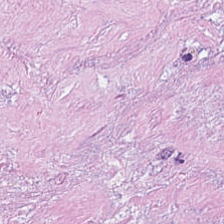Tissue class = necrotic debris.
